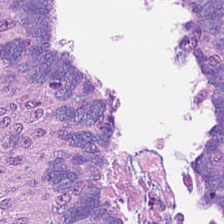The predominant tissue is colorectal adenocarcinoma epithelium.
